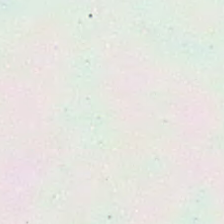No tissue.
